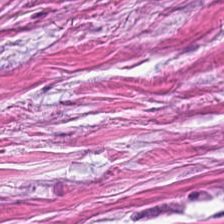224×224 pixel tile. Hematoxylin and eosin.
Classification: cancer-associated stroma.
